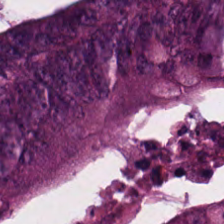H&E-stained tissue section; 0.5 µm per pixel; formalin-fixed paraffin-embedded section — Impression — malignant epithelium.
